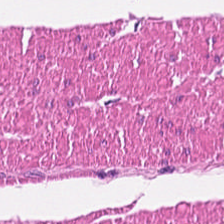H&E. Impression → muscularis.
